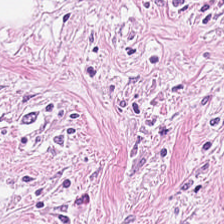This field is desmoplastic stroma.
